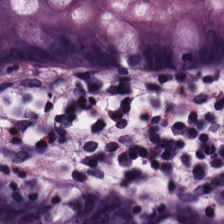Finding → non-neoplastic colon mucosa.
